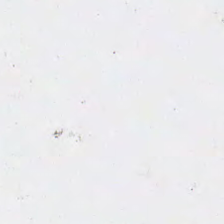H&E — Q: What does this patch show?
A: Background.
